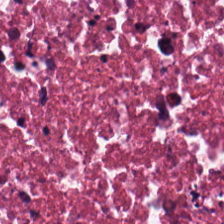Stain: hematoxylin-and-eosin stained section.
Tissue: cellular debris.
